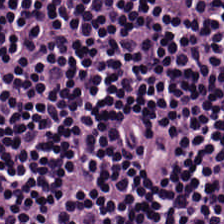Stain: H&E-stained tissue section.
Tissue type: lymphoid infiltrate.
